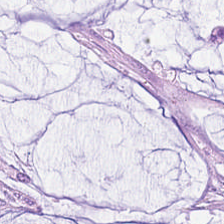Formalin-fixed paraffin-embedded section; H&E stain; 0.5 µm per pixel. The predominant tissue is mucin.
